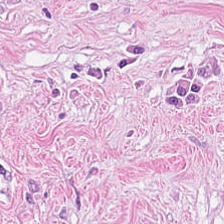H&E. Q: What is the predominant tissue type?
A: The field shows tumor stroma.
